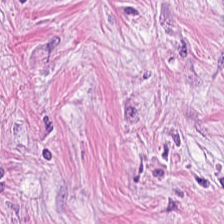FFPE tissue section; hematoxylin-and-eosin stained section; 0.5 µm per pixel.
The tissue here is tumor-associated stroma.
